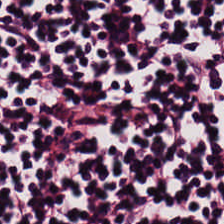H&E. FFPE. 224×224 pixel tile — Tissue: lymphocyte aggregate.
